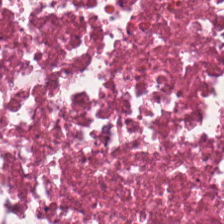H&E stain. Predominant tissue: debris.
